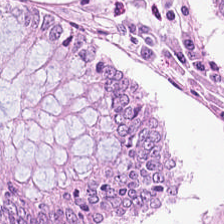H&E stain.
The tissue is normal colonic mucosa.
